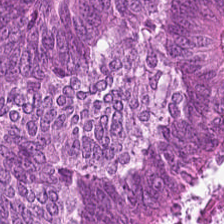Brightfield microscopy. Hematoxylin and eosin — Predominant tissue: tumor epithelium.
